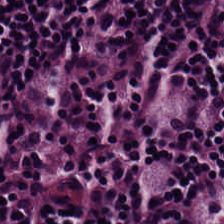Formalin-fixed paraffin-embedded section. 0.5 microns per pixel. Hematoxylin and eosin.
This field is lymphocytes.
